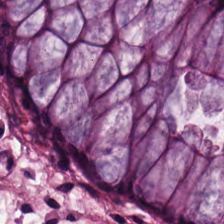Normal colon mucosa.
